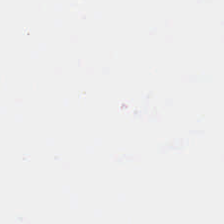H&E stain. The content is empty background.
